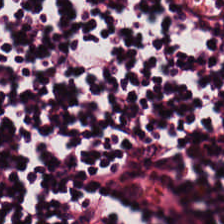H&E — Histology — lymphocytic infiltrate.
